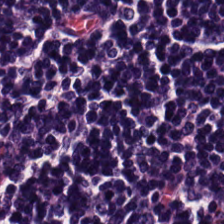Hematoxylin-and-eosin stained section.
Tissue class — lymphocytes.
